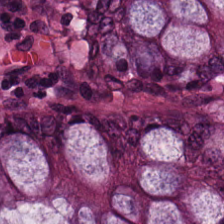H&E patch showing normal colonic mucosa.
